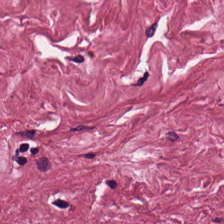Q: What is shown in this field?
A: This is desmoplastic stroma.
